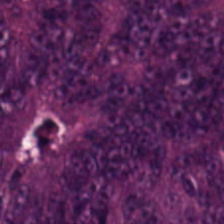Stain: hematoxylin and eosin.
Tissue class: colorectal adenocarcinoma epithelium.
